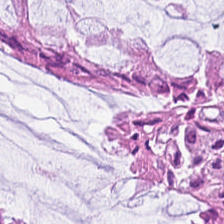Hematoxylin and eosin; FFPE; 0.5 microns per pixel. This patch shows normal colon mucosa.
